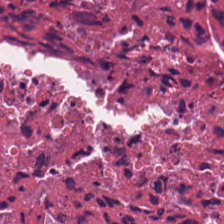Hematoxylin and eosin.
The tissue here is necrotic debris.
